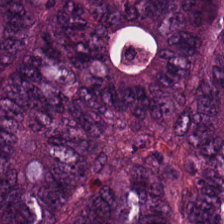Formalin-fixed paraffin-embedded section. H&E-stained tissue section — Predominantly colorectal adenocarcinoma epithelium.
